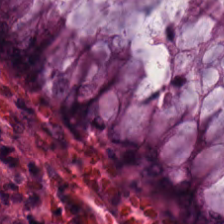H&E.
The tissue type is normal colonic mucosa.
